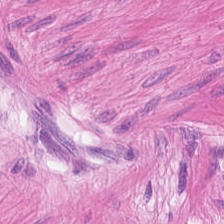FFPE tissue section; hematoxylin-and-eosin stained section; WSI patch.
Finding — smooth muscle.
